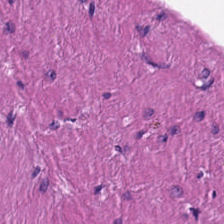0.5 microns per pixel; H&E stain. Showing smooth-muscle tissue.
